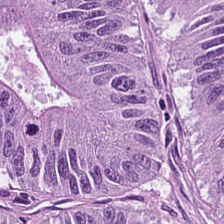H&E-stained tissue section; FFPE tissue section; 224×224 pixel tile — Finding → tumor epithelium.
